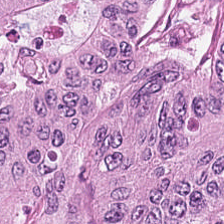Hematoxylin and eosin — Q: What does this patch show?
A: It is tumor epithelium.
